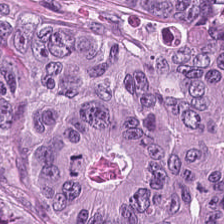H&E.
Tissue class = adenocarcinoma.
